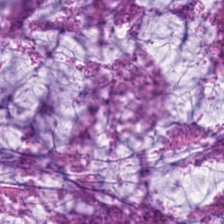This patch shows extracellular mucin.
